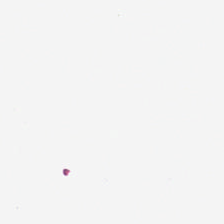Brightfield microscopy. Hematoxylin and eosin. 0.5 µm per pixel — Empty field — background.
